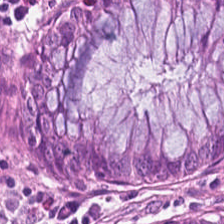Tissue — normal colon mucosa.
